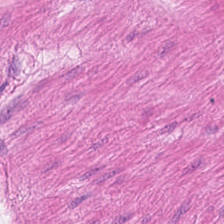H&E.
Q: What does this patch show?
A: It is smooth muscle.
